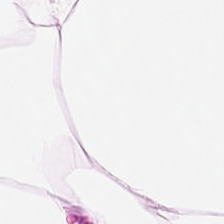Hematoxylin and eosin; brightfield; 0.5 µm/px. Tissue: adipose tissue.
